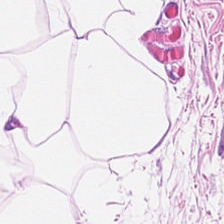H&E-stained section; the field shows fat tissue.
